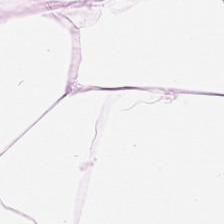Hematoxylin-and-eosin stained section. Showing fat tissue.
